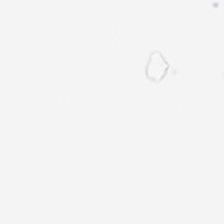Formalin-fixed paraffin-embedded section · H&E. Histology → empty background.
